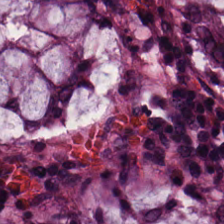Hematoxylin-and-eosin stained section. The tissue is normal colon mucosa.
